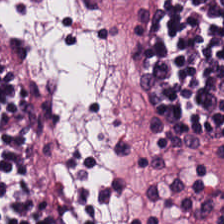This field is lymphocytes.
